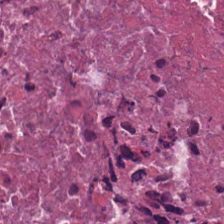224×224 px patch. Hematoxylin-and-eosin stained section.
Q: What type of tissue is this?
A: This is debris.
